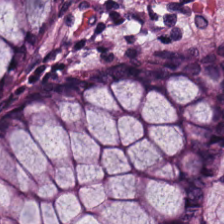Predominant tissue — benign colonic mucosa.
